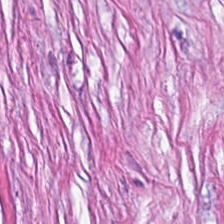Brightfield. Hematoxylin and eosin.
Q: What is shown in this field?
A: This is tumor stroma.
